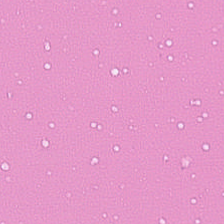224×224 px tile. H&E-stained tissue section — Predominantly debris.
